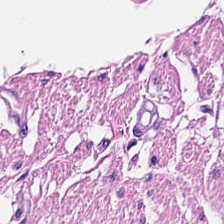Stain: H&E stain.
Tile size: 224×224 px patch.
Predominant tissue: muscularis.
